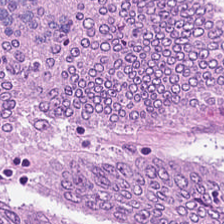H&E · 224×224 px tile — Q: What is the predominant tissue type?
A: This is colorectal adenocarcinoma.
